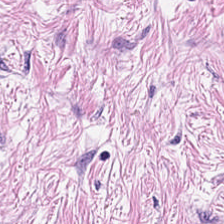Hematoxylin and eosin — Showing tumor stroma.
